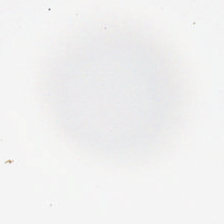Hematoxylin and eosin — Q: What is shown here?
A: It is background.
